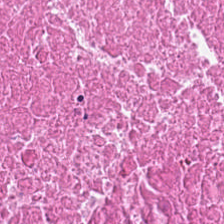H&E. 0.5 microns per pixel. Formalin-fixed paraffin-embedded section.
This patch shows debris.
